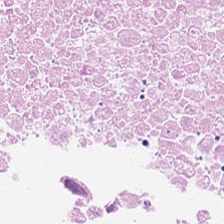H&E-stained tissue section.
The classification is necrotic debris.
